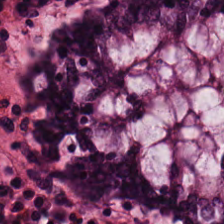{"tissue_type": "normal colon mucosa"}
